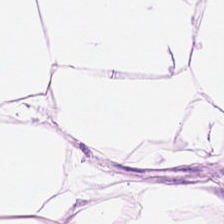FFPE tissue section. Hematoxylin and eosin.
The tissue is fat tissue.
